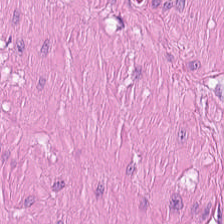H&E patch showing smooth muscle.
